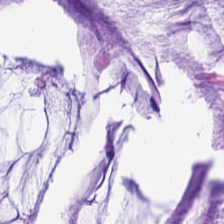Hematoxylin-and-eosin stained section — Q: What is shown here?
A: The field shows extracellular mucin.
